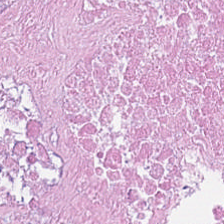H&E stain.
Tissue type = necrotic debris.
